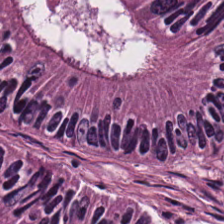Q: What is shown here?
A: This is colorectal adenocarcinoma epithelium.
